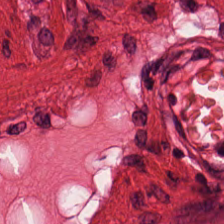Hematoxylin-and-eosin stained section. Whole-slide-image patch — Classification — muscularis.
